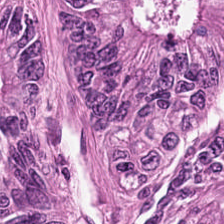Hematoxylin and eosin. Classification = tumor epithelium.
